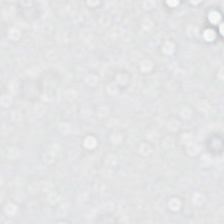Hematoxylin-and-eosin stained section — No tissue present; background only.
